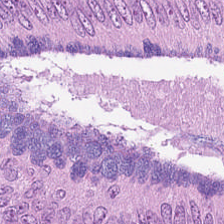Hematoxylin-and-eosin stained section. Showing colorectal adenocarcinoma epithelium.
